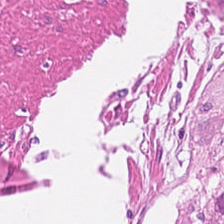H&E stain — Finding — smooth-muscle tissue.
